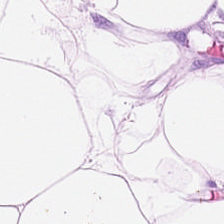H&E. Impression → adipose tissue.
